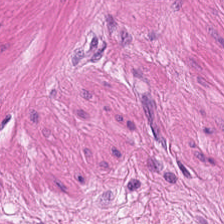Whole-slide-image patch; FFPE; H&E stain. Impression — muscularis.
